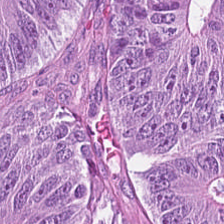H&E; FFPE.
Tissue class — malignant epithelium.
